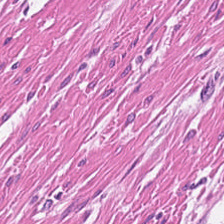H&E-stained tissue section; FFPE. The classification is smooth-muscle tissue.
